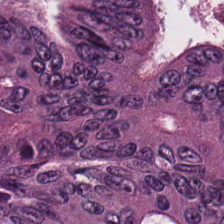H&E — Tissue type: colorectal adenocarcinoma epithelium.
